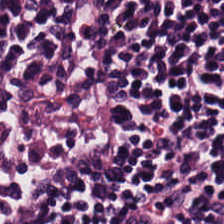Stain: H&E.
Acquisition: brightfield.
Tissue: lymphocytic infiltrate.
